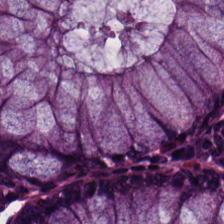{"tissue_type": "non-neoplastic colon mucosa"}
